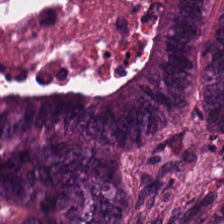Brightfield microscopy · 0.5 µm/px · H&E-stained tissue section — This patch shows colorectal adenocarcinoma epithelium.
